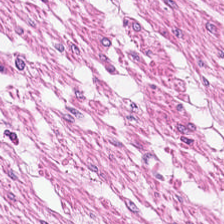Stain: H&E stain.
Predominant tissue: muscularis.
